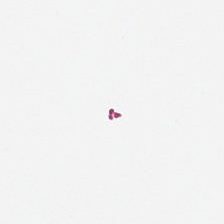Field content — empty background.
